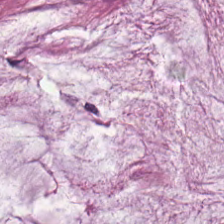Hematoxylin and eosin.
This patch shows mucin.
